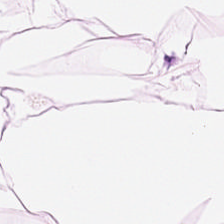H&E-stained tissue section. Brightfield.
Impression → adipocytes.
